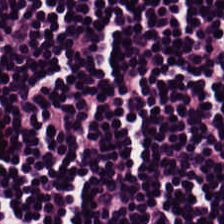Hematoxylin and eosin.
Histology — lymphocytes.
